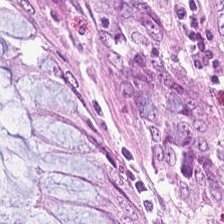Formalin-fixed paraffin-embedded section. H&E stain. The predominant tissue is normal colon mucosa.
